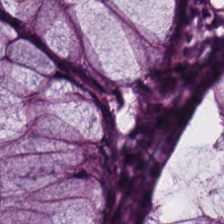{"tissue_type": "normal colon mucosa"}
